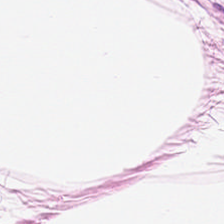H&E stain · WSI patch. Predominantly fat tissue.
